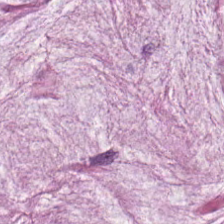0.5 µm/px · hematoxylin-and-eosin stained section.
Q: What type of tissue is this?
A: Mucin.
